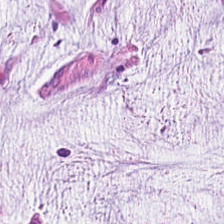Stain: H&E.
Preparation: FFPE.
Tile size: 224×224 px tile.
Tissue class: mucin.
